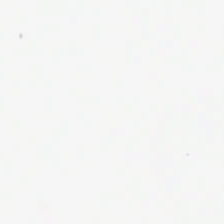H&E-stained tissue section. Q: What is shown in this field?
A: It is background.
